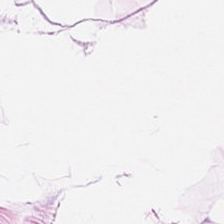Brightfield microscopy · H&E-stained tissue section.
Impression — adipocytes.
